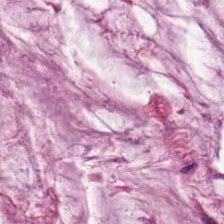Hematoxylin and eosin. The tissue here is extracellular mucin.
